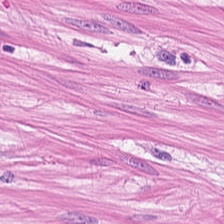H&E-stained tissue section. Histology → smooth-muscle tissue.
